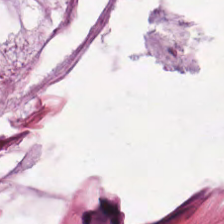Hematoxylin and eosin · 0.5 µm per pixel — Extracellular mucin.
